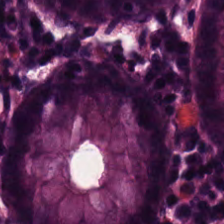Hematoxylin-and-eosin stained section; 0.5 µm/px. Classification = non-neoplastic colon mucosa.
